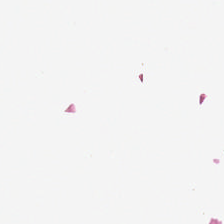The classification is empty background.
